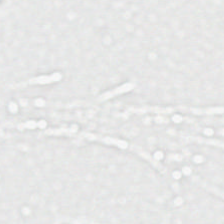Whole-slide-image patch. Hematoxylin-and-eosin stained section — The content is no tissue.
